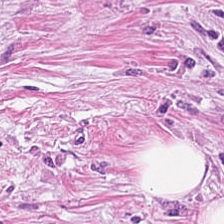Hematoxylin-and-eosin stained section. Showing desmoplastic stroma.
